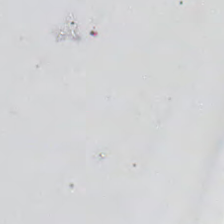H&E stain.
Histology — background.
